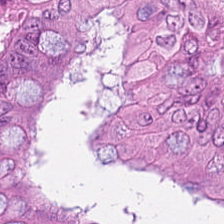H&E. 20× equivalent magnification. Tissue type — adenocarcinoma.
